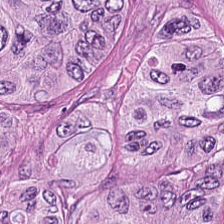FFPE; H&E; 0.5 µm per pixel.
Predominantly tumor epithelium.
